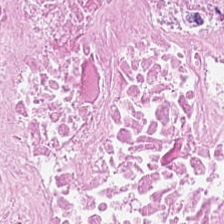0.5 µm per pixel · hematoxylin-and-eosin stained section · brightfield — Classification = necrotic debris.
